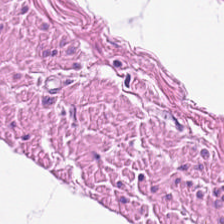The tissue class is smooth muscle.
